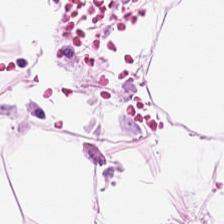WSI patch. Hematoxylin and eosin — The classification is adipose.
